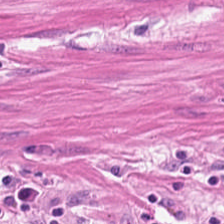Tissue: smooth-muscle tissue.
